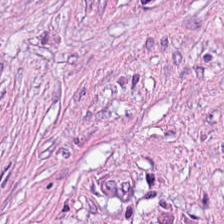Stain: hematoxylin-and-eosin stained section.
Classification: tumor stroma.
